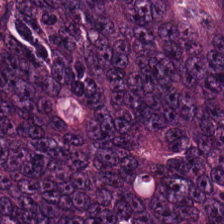H&E-stained tissue section. Brightfield microscopy — Predominant tissue: malignant epithelium.
